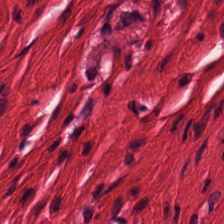H&E-stained tissue section.
Showing muscularis.
